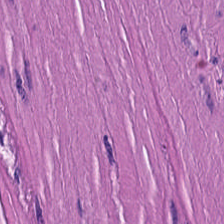This patch shows muscularis.
